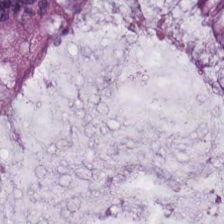FFPE tissue section; hematoxylin-and-eosin stained section; 224×224 px patch — Tissue = normal colon mucosa.
